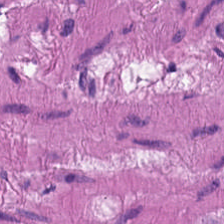Brightfield microscopy. Hematoxylin and eosin.
Showing smooth-muscle tissue.
